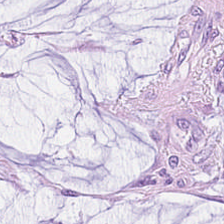Hematoxylin and eosin; 224×224 px patch.
{"tissue_type": "mucus"}
